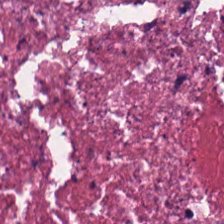Showing debris.
